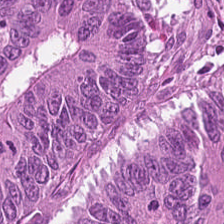H&E-stained section; the field shows colorectal adenocarcinoma epithelium.
